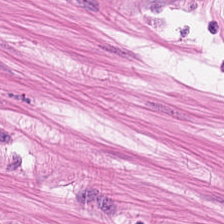Stain: hematoxylin and eosin.
Classification: muscularis.
